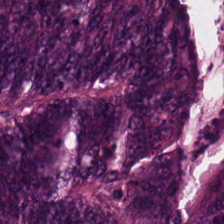Hematoxylin-and-eosin stained section.
Colorectal adenocarcinoma.
